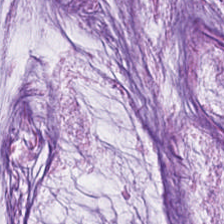Hematoxylin-and-eosin stained section. FFPE tissue section.
Tissue = extracellular mucin.
